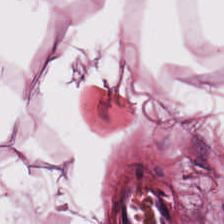H&E — The tissue here is adipocytes.
